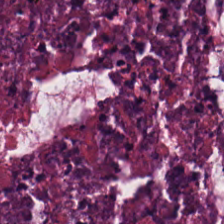Hematoxylin and eosin. Impression → cellular debris.
